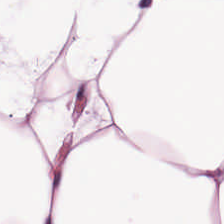FFPE tissue section · H&E stain. Q: What does this patch show?
A: Adipose.
